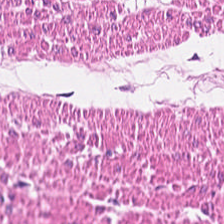H&E-stained tissue section.
The classification is muscularis.
